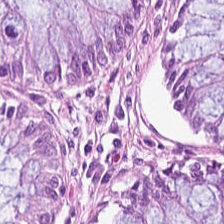Stain: hematoxylin and eosin.
Tissue type: normal colonic mucosa.
